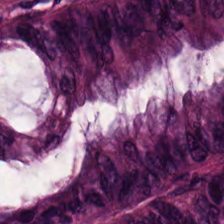FFPE tissue section. H&E stain.
{"tissue_type": "colorectal adenocarcinoma"}
